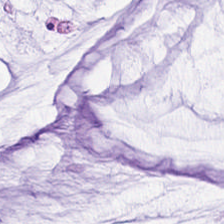H&E stain. The tissue is mucin.
